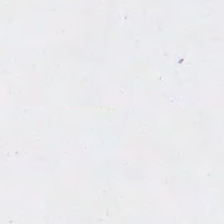H&E stain. Classification = no tissue.
